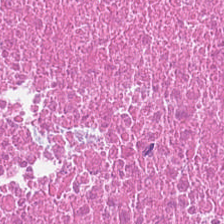H&E; formalin-fixed paraffin-embedded section — Debris.
